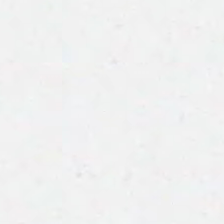FFPE. H&E stain.
This patch shows background (no tissue).
